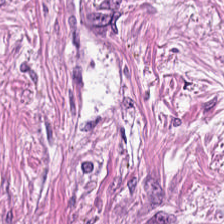H&E — Finding → tumor stroma.
